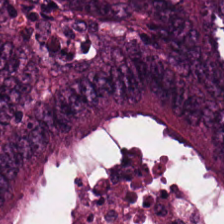Malignant epithelium.
